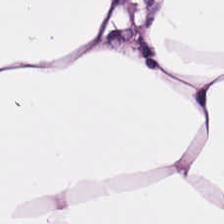H&E · FFPE tissue section.
Tissue class: adipocytes.
